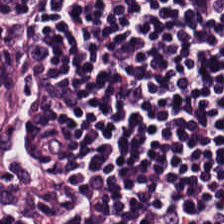224×224 px tile · hematoxylin and eosin.
Showing lymphoid infiltrate.
